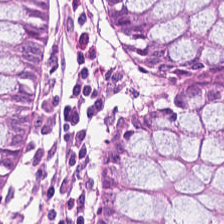Tissue — normal colon mucosa.
